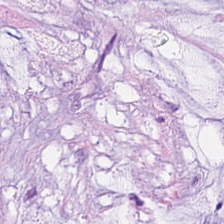Hematoxylin-and-eosin stained section. Finding → mucus.
